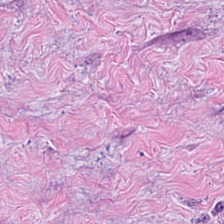Tissue type — tumor-associated stroma.
